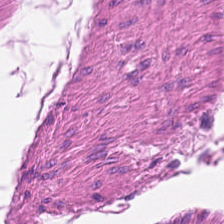Stain: H&E stain.
Classification: smooth muscle.
